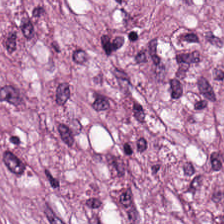H&E-stained tissue section · 0.5 microns per pixel — Tissue type: tumor-associated stroma.
